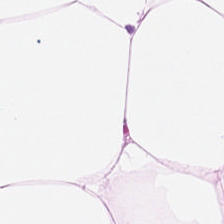Hematoxylin and eosin · 0.5 µm/px · formalin-fixed paraffin-embedded section. This patch shows adipose.
